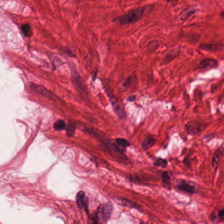0.5 µm/px. H&E stain. 224×224 pixel tile. Predominantly muscularis.
